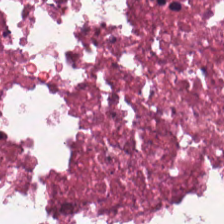Hematoxylin and eosin.
Classification: cellular debris.
